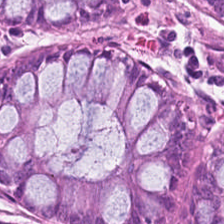H&E-stained tissue section · 0.5 µm/px — Q: What tissue type is shown here?
A: Normal colon mucosa.
